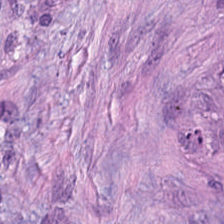Hematoxylin-and-eosin section: tumor-associated stroma.
